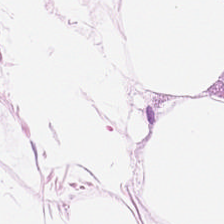Q: What does this patch show?
A: This is adipocytes.
